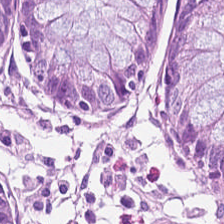0.5 µm/px; H&E stain. Predominant tissue — benign colonic mucosa.
